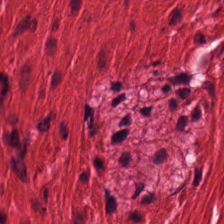Hematoxylin-and-eosin section: smooth-muscle tissue.
